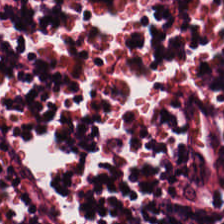H&E stain — The predominant tissue is lymphocytes.
